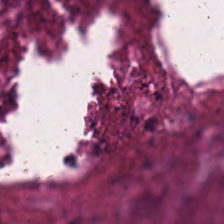Impression → necrotic debris.
